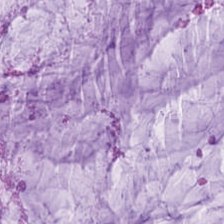Stain: H&E.
Tissue type: mucin.
